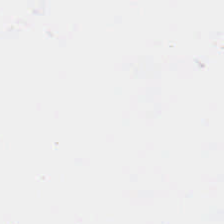H&E-stained tissue section. Whole-slide-image patch — {"content": "empty background"}
